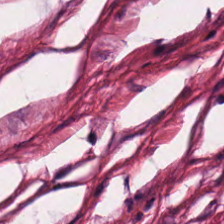Formalin-fixed paraffin-embedded section; H&E stain — Impression → cancer-associated stroma.
